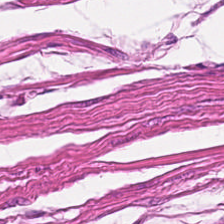Stain: hematoxylin and eosin.
Preparation: FFPE tissue section.
Tissue class: smooth muscle.
